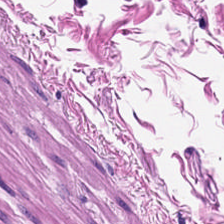Formalin-fixed paraffin-embedded section; hematoxylin-and-eosin stained section; 0.5 µm per pixel.
The tissue type is smooth-muscle tissue.
